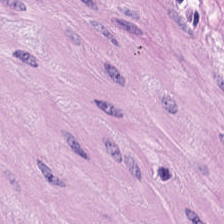Stain: hematoxylin and eosin.
Predominant tissue: muscularis.
